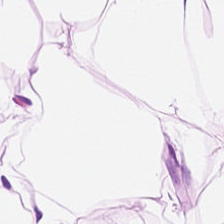Stain: H&E stain.
Tissue: adipose.
